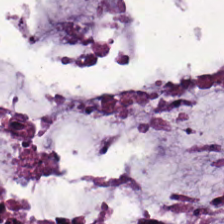H&E.
The tissue is mucin.
